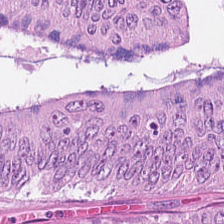Stain: hematoxylin-and-eosin stained section.
Tile size: 224×224 px patch.
Tissue class: adenocarcinoma.
